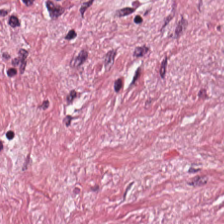H&E. Tumor-associated stroma.
